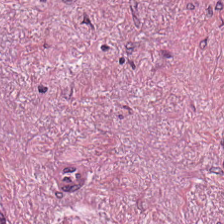224×224 px patch; hematoxylin-and-eosin stained section. Q: What does this patch show?
A: This is tumor stroma.
